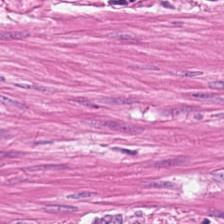Hematoxylin and eosin.
Predominantly smooth muscle.
